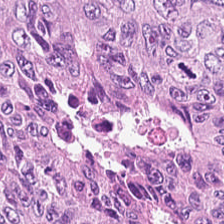Hematoxylin and eosin. Q: What does this patch show?
A: This is malignant epithelium.
